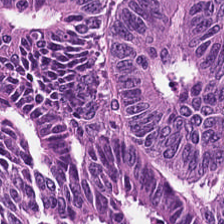H&E stain — This patch shows colorectal adenocarcinoma epithelium.
